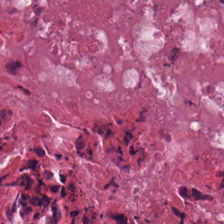H&E stain — Showing necrotic debris.
